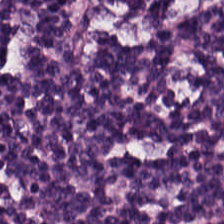0.5 microns per pixel · hematoxylin and eosin · formalin-fixed paraffin-embedded section. Tissue type = lymphoid infiltrate.
